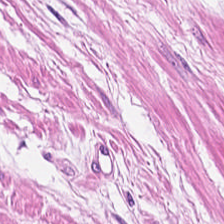Showing smooth-muscle tissue.
